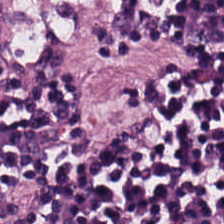H&E-stained tissue section · 224×224 px tile.
The predominant tissue is lymphoid infiltrate.
